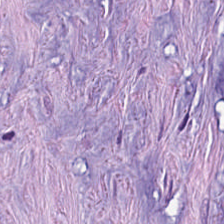Stain: hematoxylin-and-eosin stained section.
Resolution: 0.5 µm/px.
Tissue class: desmoplastic stroma.
